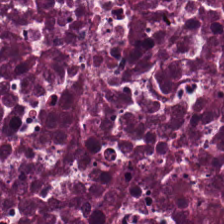Stain: hematoxylin and eosin.
Tissue type: necrotic debris.
